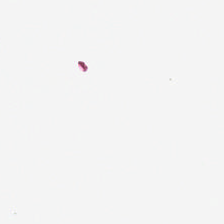H&E · 224×224 px patch. Empty field — empty background.
